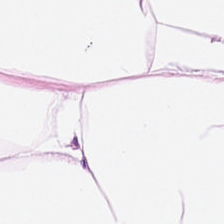0.5 µm per pixel. H&E.
{"tissue_type": "adipose tissue"}
